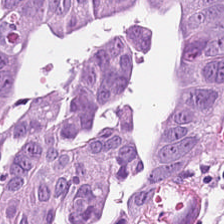H&E.
Impression → colorectal adenocarcinoma epithelium.
